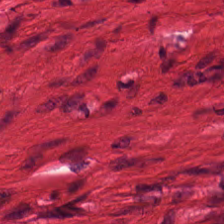H&E. 224×224 pixel tile. FFPE tissue section — This patch shows smooth-muscle tissue.
